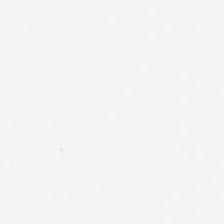224×224 px patch; 0.5 µm per pixel; H&E. Impression → empty background.
